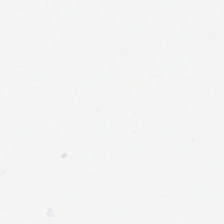Stain: H&E stain.
Classification: background.
